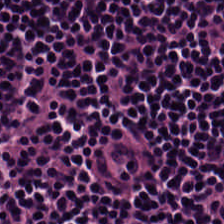Q: What is shown here?
A: The field shows lymphocytes.
